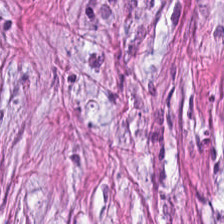Stain: H&E.
Predominant tissue: cancer-associated stroma.
